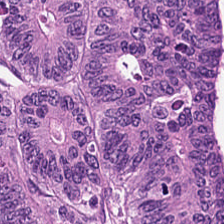Hematoxylin-and-eosin stained section. Tissue type: malignant epithelium.
